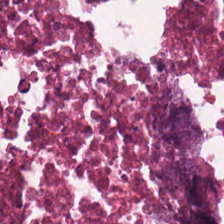Hematoxylin-and-eosin stained section.
Tissue — debris.
